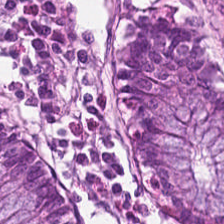Stain: H&E stain.
Tile size: 224×224 px patch.
Acquisition: brightfield microscopy.
Tissue type: normal colonic mucosa.
